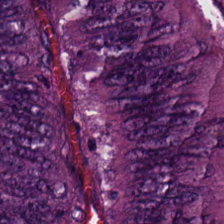H&E-stained tissue section — Q: What tissue type is shown here?
A: Tumor epithelium.
